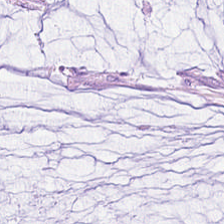Q: What is the predominant tissue type?
A: Mucin.
